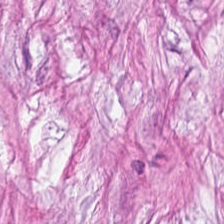Q: What is the predominant tissue type?
A: Tumor stroma.
